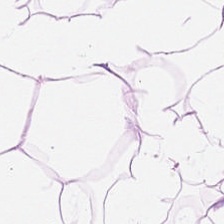H&E-stained tissue section.
Adipose.
